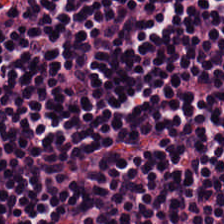Q: Identify the tissue.
A: The field shows lymphocytic infiltrate.
